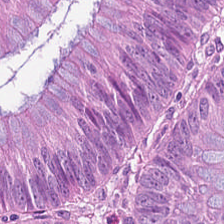0.5 microns per pixel · hematoxylin and eosin.
Q: What tissue is shown?
A: Colorectal adenocarcinoma epithelium.
